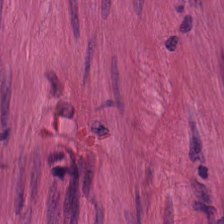This field is smooth-muscle tissue.
